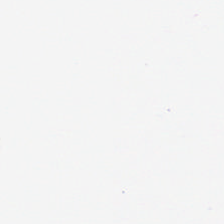This field is background (no tissue).
